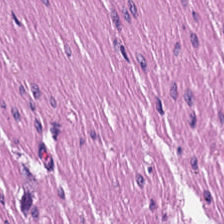Stain: hematoxylin-and-eosin stained section.
Tissue class: smooth muscle.
